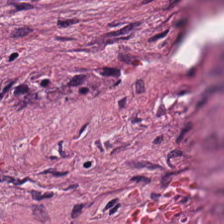Tissue class: desmoplastic stroma.
